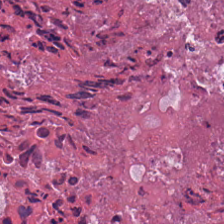H&E — The tissue here is debris.
